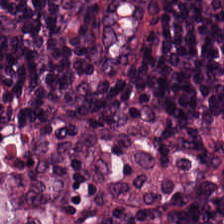Q: What is shown here?
A: It is lymphocyte aggregate.
